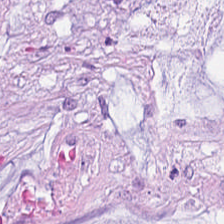Hematoxylin-and-eosin stained section.
Tissue class — mucin.
